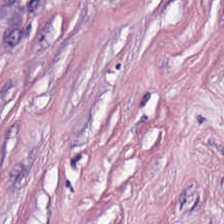Tissue type: desmoplastic stroma.
